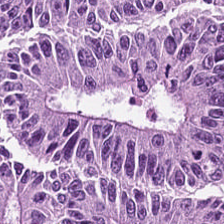H&E stain. The predominant tissue is adenocarcinoma.
